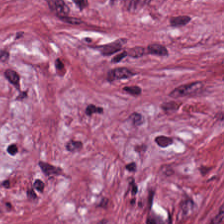FFPE tissue section. Whole-slide-image patch. H&E-stained tissue section.
The predominant tissue is desmoplastic stroma.
